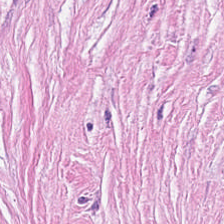0.5 microns per pixel. Formalin-fixed paraffin-embedded section. Hematoxylin and eosin — Finding → tumor-associated stroma.
